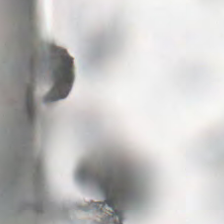0.5 µm/px. 224×224 pixel tile. H&E.
This patch shows no tissue.
